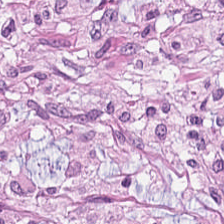Classification — tumor-associated stroma.
